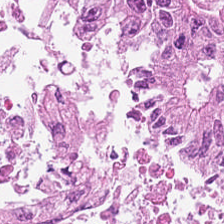H&E stain — Tumor epithelium.
